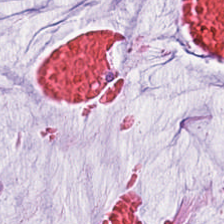Stain: H&E stain.
Tissue: extracellular mucin.
